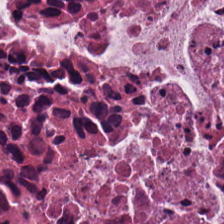H&E-stained tissue section · 224×224 px tile.
Cellular debris.
